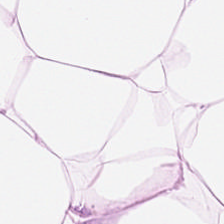H&E-stained tissue section.
Q: What is the predominant tissue type?
A: The field shows adipose.
